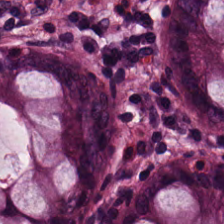Hematoxylin and eosin — {"tissue_type": "non-neoplastic colon mucosa"}
